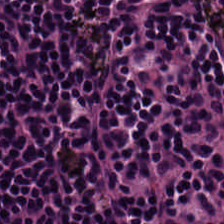224×224 pixel tile. Hematoxylin and eosin. FFPE. Lymphocytes.
